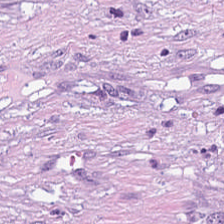Hematoxylin-and-eosin stained section · 224×224 px patch. Predominant tissue: desmoplastic stroma.
